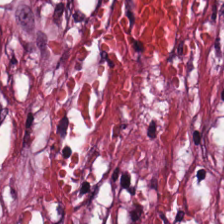FFPE · 224×224 px tile · H&E stain — The tissue here is cancer-associated stroma.
